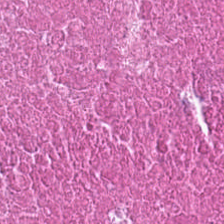H&E-stained tissue section — The tissue here is cellular debris.
